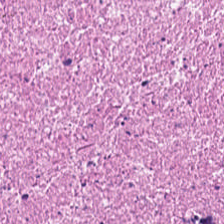0.5 µm per pixel · hematoxylin-and-eosin stained section — The predominant tissue is debris.
